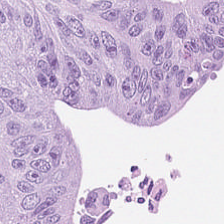FFPE; H&E — This field is malignant epithelium.
